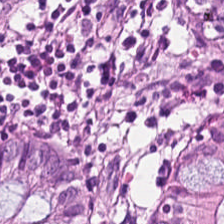Hematoxylin-and-eosin stained section.
Showing normal colonic mucosa.
